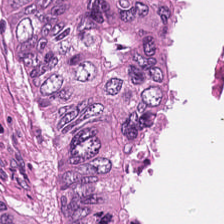H&E-stained tissue section.
Finding — necrotic debris.
